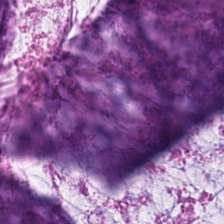FFPE · hematoxylin-and-eosin stained section. Finding — mucus.
